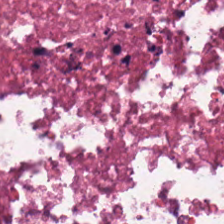H&E-stained tissue section. Q: What is the predominant tissue type?
A: The field shows debris.
